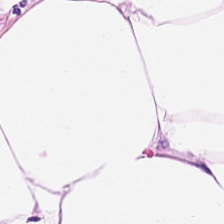0.5 µm per pixel. H&E-stained tissue section.
Tissue class: adipocytes.
